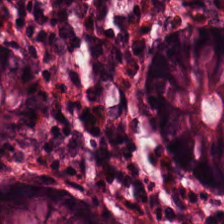H&E stain. WSI patch. Predominantly normal colonic mucosa.
